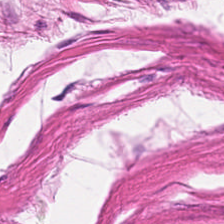Stain: hematoxylin-and-eosin stained section.
Tissue class: muscularis.
